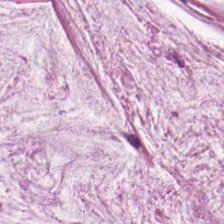H&E stain. Q: What type of tissue is this?
A: The field shows extracellular mucin.
